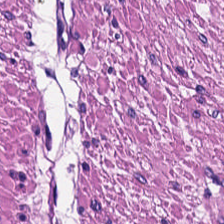Hematoxylin and eosin. FFPE — Classification: muscularis.
